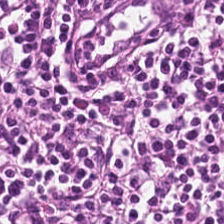224×224 pixel tile. Hematoxylin-and-eosin stained section. Brightfield microscopy. This patch shows lymphocyte aggregate.
